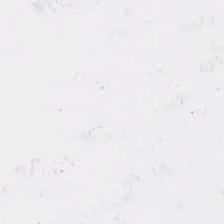Histology → background (no tissue).
